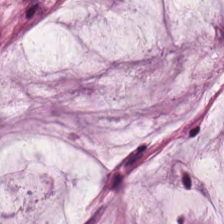FFPE tissue section; hematoxylin and eosin; 0.5 µm per pixel.
{"tissue_type": "mucin"}
